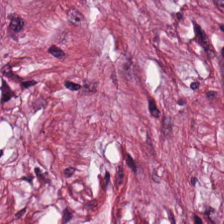Tissue type = desmoplastic stroma.
